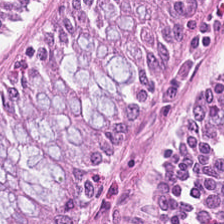Formalin-fixed paraffin-embedded section · hematoxylin-and-eosin stained section — Predominant tissue: normal colonic mucosa.
